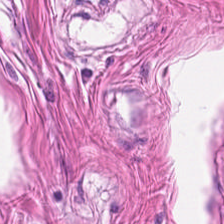The predominant tissue is muscularis.
